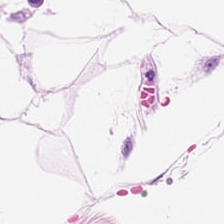This patch shows adipose tissue.
